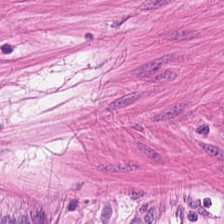Q: What tissue type is shown here?
A: It is smooth muscle.
